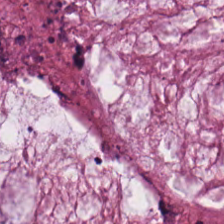H&E stain — Q: What type of tissue is this?
A: It is mucin.
